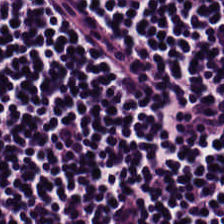H&E; 224×224 pixel tile.
Predominant tissue: lymphocytes.
